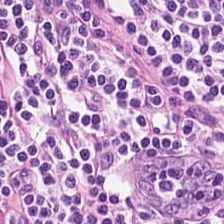H&E; FFPE; 224×224 pixel tile — This patch shows lymphocytes.
